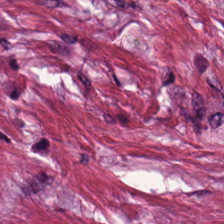Hematoxylin-and-eosin stained section — Q: Classify this patch.
A: This is tumor-associated stroma.
